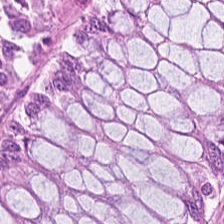H&E. Q: What is shown here?
A: Benign colonic mucosa.
